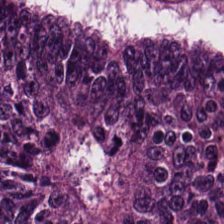224×224 px tile · hematoxylin and eosin. Histology → tumor epithelium.
